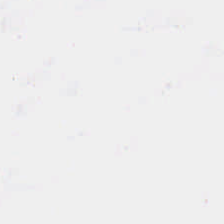H&E stain — {"content": "background"}
